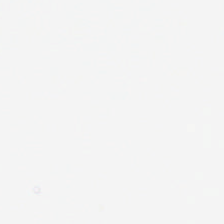20× equivalent magnification · H&E.
Q: What does this patch show?
A: This is no tissue.
